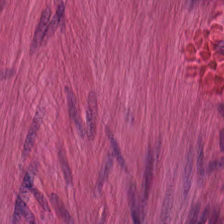Formalin-fixed paraffin-embedded section · hematoxylin-and-eosin stained section.
Tissue class — muscularis.
